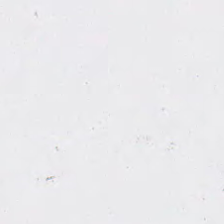Q: What is shown here?
A: This is empty background.
